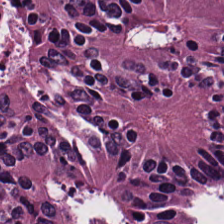Q: What type of tissue is this?
A: It is adenocarcinoma.
